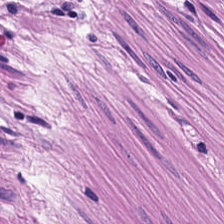Stain: H&E stain.
Tissue type: muscularis.
